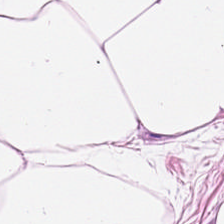0.5 microns per pixel; H&E.
The classification is adipose tissue.
